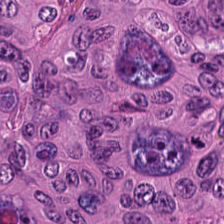Hematoxylin-and-eosin stained section.
Impression — colorectal adenocarcinoma.
